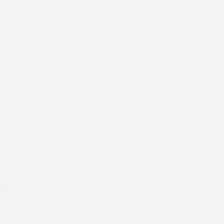0.5 microns per pixel · H&E stain.
This field is background (no tissue).
